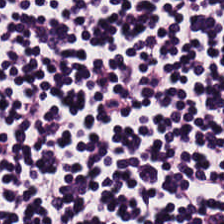Tissue: lymphoid infiltrate.
